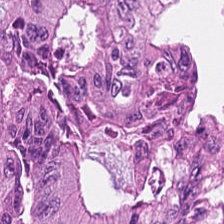Predominantly colorectal adenocarcinoma.
